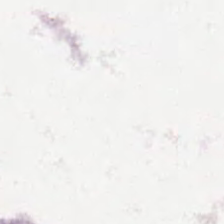Stain: H&E stain.
Field content: background (no tissue).
